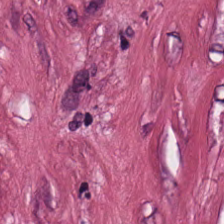224×224 px tile; hematoxylin and eosin. The predominant tissue is tumor-associated stroma.
